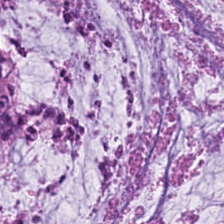Hematoxylin and eosin. FFPE tissue section — Q: What tissue type is shown here?
A: The field shows extracellular mucin.
